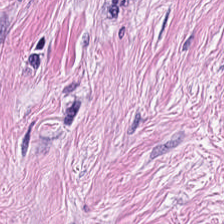Stain: hematoxylin-and-eosin stained section.
Tissue type: desmoplastic stroma.
